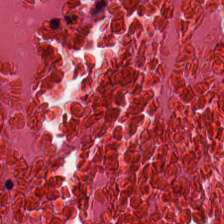Hematoxylin-and-eosin stained section. Tissue type: cellular debris.
